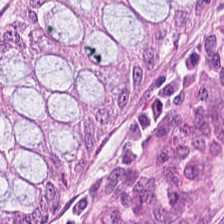Whole-slide-image patch; H&E. Normal colonic mucosa.
